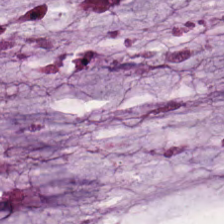0.5 µm per pixel. Brightfield microscopy. H&E-stained tissue section.
Tissue = mucin.
